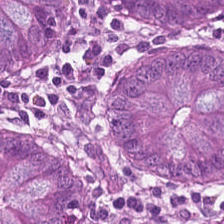Classification = non-neoplastic colon mucosa.
